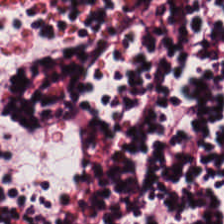Tissue: lymphocyte aggregate.
